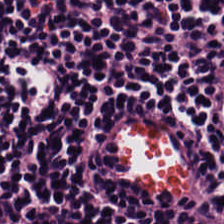Q: What is the predominant tissue type?
A: Lymphoid infiltrate.
